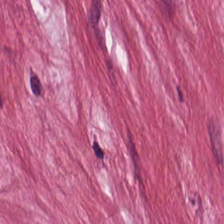This field is cancer-associated stroma.
